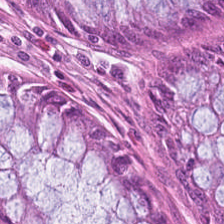Hematoxylin and eosin. Tissue: normal colon mucosa.
